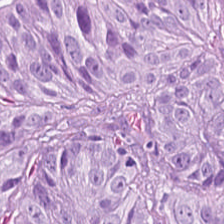Classification = adenocarcinoma.
